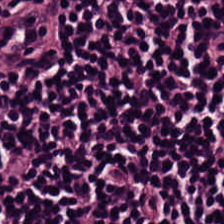H&E stain — Predominant tissue = lymphocytes.
